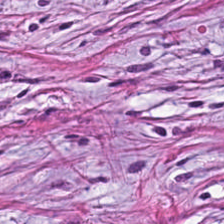224×224 pixel tile; brightfield microscopy; hematoxylin-and-eosin stained section. Tissue — desmoplastic stroma.
